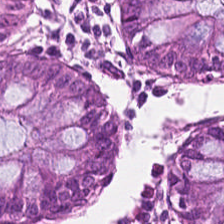H&E. Predominant tissue = non-neoplastic colon mucosa.
